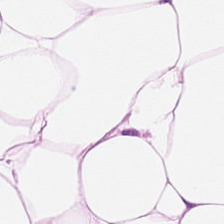Stain: hematoxylin and eosin.
Tile size: 224×224 px tile.
Predominant tissue: adipocytes.
